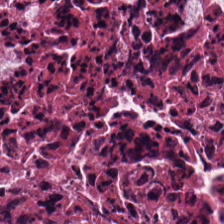H&E-stained tissue section.
{"tissue_type": "cellular debris"}
